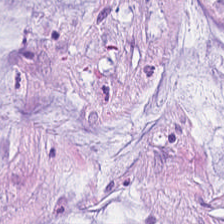Impression → extracellular mucin.
